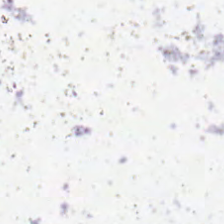Brightfield microscopy · FFPE tissue section · hematoxylin-and-eosin stained section — {"content": "background (no tissue)"}
